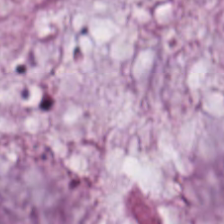Hematoxylin and eosin. Predominantly mucus.
